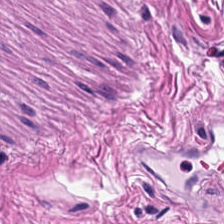Stain: hematoxylin and eosin.
Tissue: smooth-muscle tissue.
